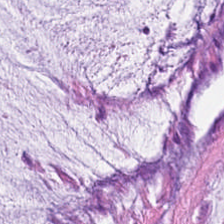224×224 px tile · H&E — Q: What tissue is shown?
A: This is mucus.
